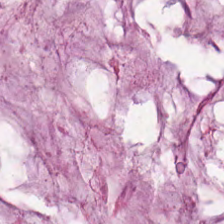H&E stain; whole-slide-image patch — Mucin.
